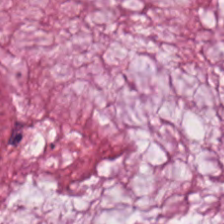H&E-stained tissue section — The predominant tissue is mucus.
